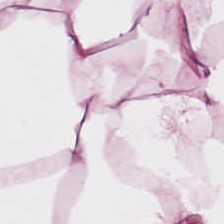Stain: H&E-stained tissue section.
Tissue type: fat tissue.
